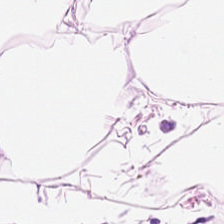Stain: H&E stain.
Tissue class: adipose.
